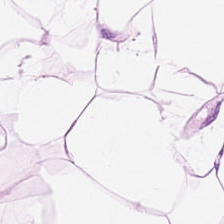Hematoxylin and eosin. FFPE tissue section — Q: What tissue type is shown here?
A: The field shows adipose.
